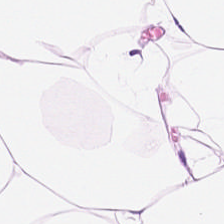H&E stain.
Showing fat tissue.
